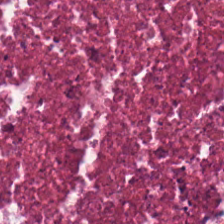H&E — Predominant tissue — necrotic debris.
